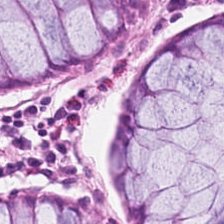Hematoxylin-and-eosin stained section — This patch shows normal colonic mucosa.
